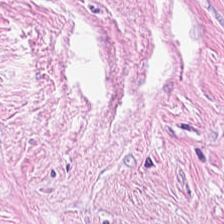H&E stain. 0.5 µm/px — Q: What is shown in this field?
A: Tumor-associated stroma.
